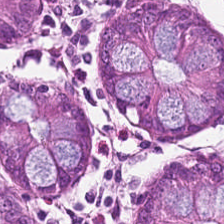0.5 µm/px. 224×224 pixel tile. Hematoxylin and eosin. Finding → normal colonic mucosa.
